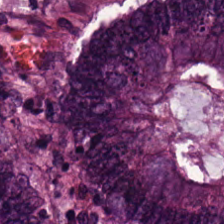H&E stain.
Classification: malignant epithelium.
